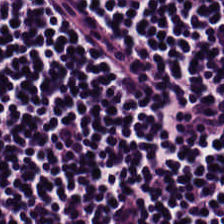Impression — lymphocytic infiltrate.
